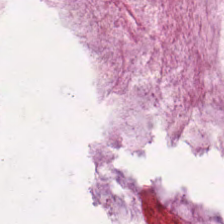Hematoxylin and eosin. Showing mucin.
